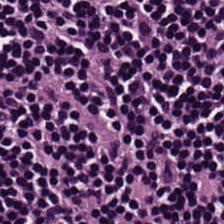H&E-stained tissue section — Impression — lymphocytic infiltrate.
